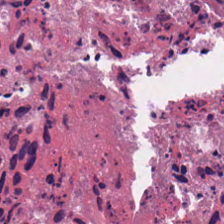H&E-stained tissue section. Q: What tissue type is shown here?
A: The field shows debris.
